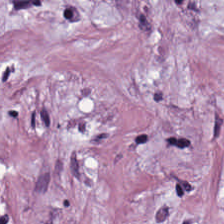Hematoxylin-and-eosin stained section — The predominant tissue is desmoplastic stroma.
